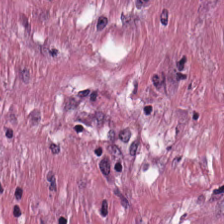H&E-stained tissue section. Histology → tumor-associated stroma.
